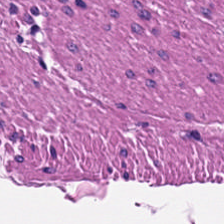Hematoxylin and eosin. Tissue class = smooth muscle.
